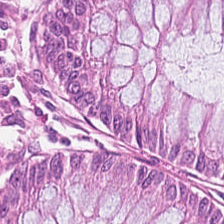FFPE tissue section; hematoxylin and eosin.
Q: Classify this patch.
A: It is non-neoplastic colon mucosa.
